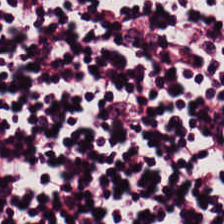224×224 px patch; hematoxylin-and-eosin stained section.
Predominant tissue = lymphocytes.
